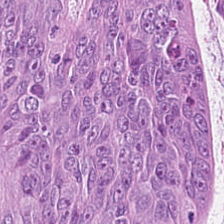H&E — colorectal adenocarcinoma epithelium.
